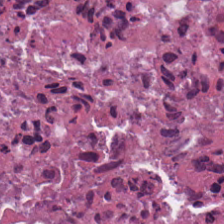H&E-stained tissue section — Predominantly debris.
